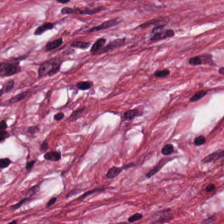Stain: hematoxylin-and-eosin stained section.
Tissue type: tumor stroma.
